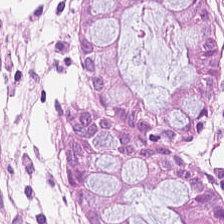H&E. Q: What is shown in this field?
A: The field shows benign colonic mucosa.
